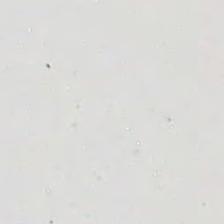Q: What is shown in this field?
A: The field shows no tissue.
